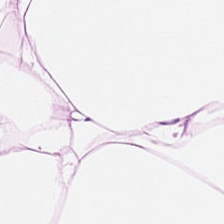Showing adipose.
